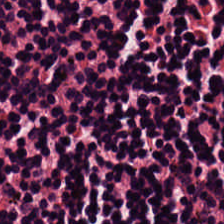H&E stain. 0.5 microns per pixel — Predominantly lymphocytic infiltrate.
